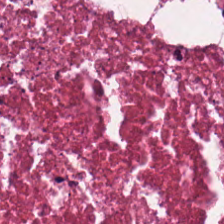H&E-stained tissue section showing cellular debris.
